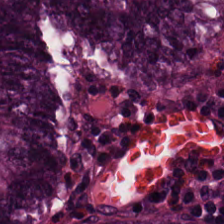Hematoxylin-and-eosin stained section — Showing normal colon mucosa.
